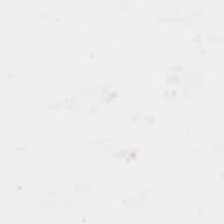H&E-stained tissue section — Q: What does this patch show?
A: This is background (no tissue).
